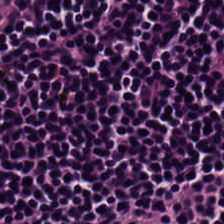H&E stain. Histology → lymphocytic infiltrate.
